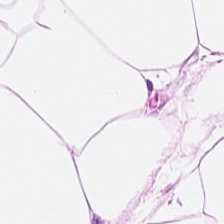H&E; brightfield microscopy.
Q: What does this patch show?
A: The field shows fat tissue.
